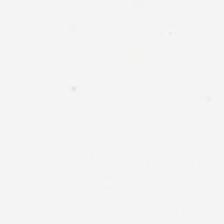Q: What is shown in this field?
A: The field shows empty background.
